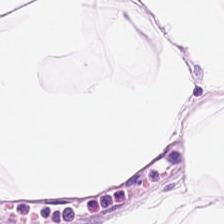Brightfield microscopy · H&E — The tissue class is adipose tissue.
